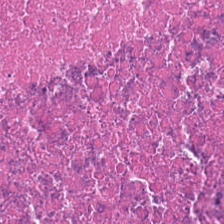H&E-stained tissue section — Predominantly necrotic debris.
